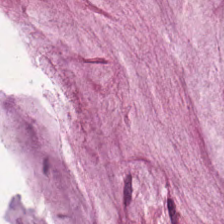Impression — mucus.
